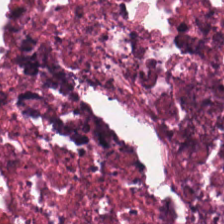Hematoxylin-and-eosin stained section — Finding → necrotic debris.
